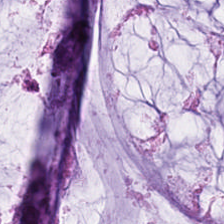Hematoxylin and eosin. 224×224 px tile. FFPE tissue section — Q: What does this patch show?
A: The field shows mucus.
